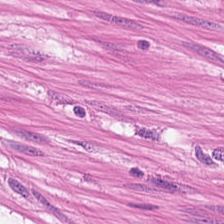224×224 px patch. 0.5 µm/px. H&E-stained tissue section — Q: What is shown here?
A: This is smooth-muscle tissue.
